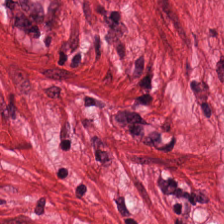Stain: H&E stain.
Resolution: 0.5 µm/px.
Tissue type: smooth-muscle tissue.
